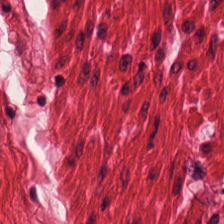H&E stain. Tissue — smooth-muscle tissue.
